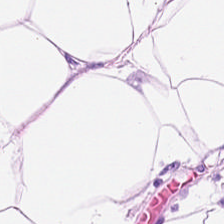H&E — adipose tissue.
